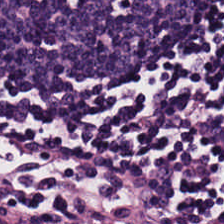0.5 µm/px; H&E-stained tissue section — Q: Classify this patch.
A: This is lymphoid infiltrate.
